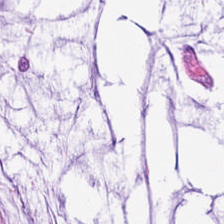224×224 pixel tile · H&E. Predominant tissue: extracellular mucin.
